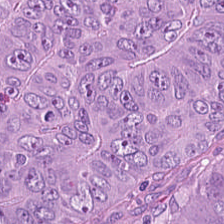Hematoxylin and eosin; 0.5 µm per pixel; whole-slide-image patch — {"tissue_type": "colorectal adenocarcinoma"}
